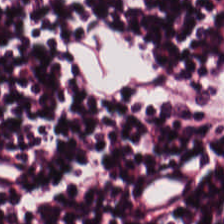Hematoxylin and eosin. 224×224 px patch.
Lymphocyte aggregate.
